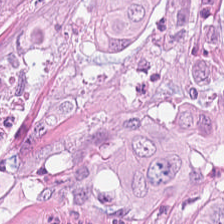224×224 px tile. Brightfield microscopy. H&E stain — The classification is adenocarcinoma.
